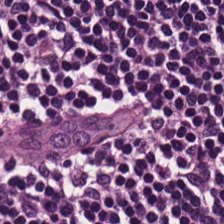Predominant tissue: lymphocytic infiltrate.
